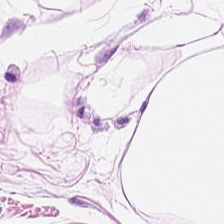Stain: H&E stain.
Tissue type: fat tissue.
